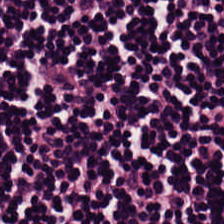H&E-stained tissue section.
Q: What type of tissue is this?
A: The field shows lymphocyte aggregate.
